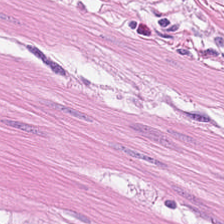Brightfield microscopy. Formalin-fixed paraffin-embedded section. H&E. Smooth-muscle tissue.
